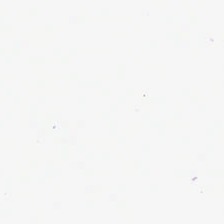Finding → background.
